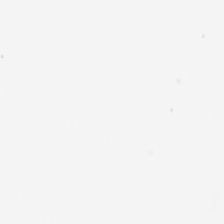Content = empty background.
